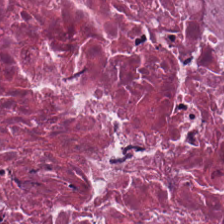{"tissue_type": "cellular debris"}
